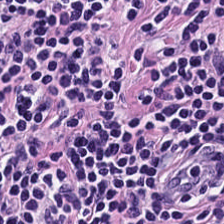Hematoxylin-and-eosin stained section — Predominantly lymphocytes.
